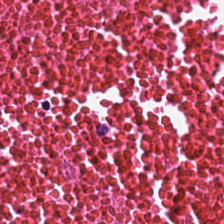H&E-stained tissue section. 20× equivalent magnification. 224×224 pixel tile.
Q: What is the predominant tissue type?
A: It is cellular debris.
